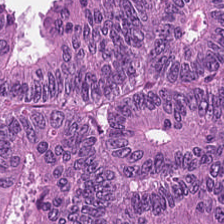Formalin-fixed paraffin-embedded section; 20× equivalent magnification; H&E. Classification = malignant epithelium.
